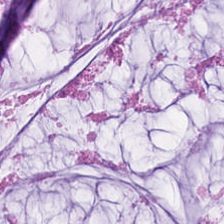H&E-stained tissue section · 224×224 pixel tile · formalin-fixed paraffin-embedded section.
{"tissue_type": "mucus"}
